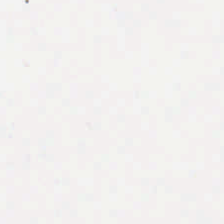H&E-stained tissue section. Field content: background (no tissue).
